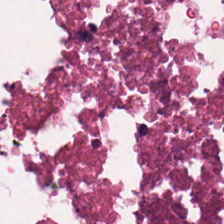Hematoxylin and eosin — The tissue here is debris.
